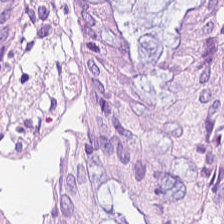224×224 pixel tile; hematoxylin-and-eosin stained section. Tissue: non-neoplastic colon mucosa.
